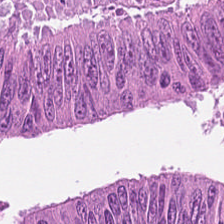Hematoxylin and eosin · brightfield microscopy — This patch shows adenocarcinoma.
